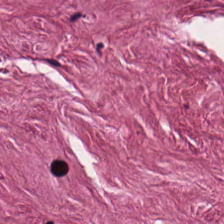WSI patch; hematoxylin-and-eosin stained section — Predominant tissue — desmoplastic stroma.
